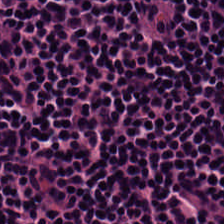H&E.
This field is lymphoid infiltrate.
